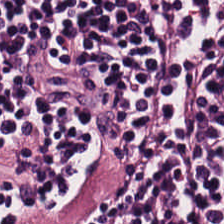Hematoxylin and eosin; formalin-fixed paraffin-embedded section.
Tissue — lymphocytes.
